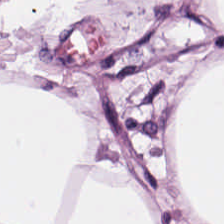H&E. Tissue: adipose.
